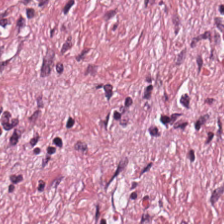224×224 px tile · H&E-stained tissue section. This patch shows tumor-associated stroma.
